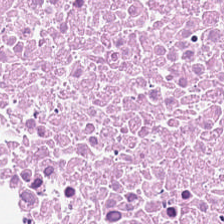Hematoxylin and eosin · 0.5 µm per pixel.
The predominant tissue is debris.
